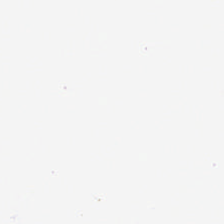Hematoxylin-and-eosin stained section.
Background.
